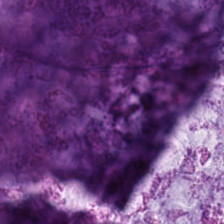224×224 px patch · brightfield · hematoxylin and eosin — {"tissue_type": "mucin"}
